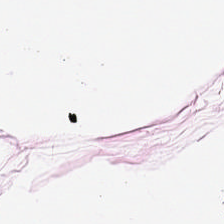Hematoxylin and eosin. The tissue is adipose.
